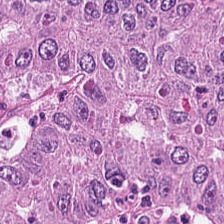Hematoxylin and eosin — This patch shows tumor epithelium.
